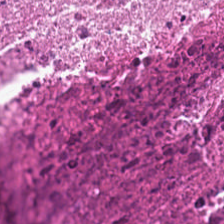Hematoxylin and eosin.
Impression — necrotic debris.
